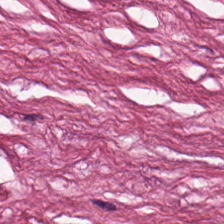Hematoxylin and eosin.
The tissue type is cellular debris.
